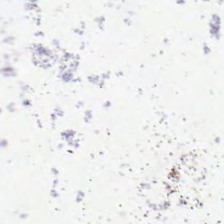Q: What is shown here?
A: It is background (no tissue).
